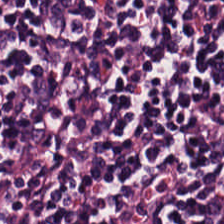Hematoxylin and eosin — The predominant tissue is lymphocytic infiltrate.
